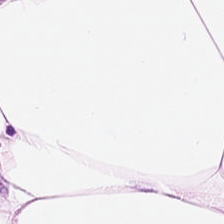Formalin-fixed paraffin-embedded section. H&E-stained tissue section — The predominant tissue is adipose.
